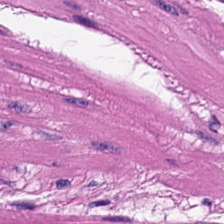H&E stain. Finding → smooth muscle.
